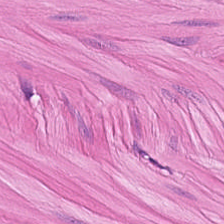Stain: hematoxylin and eosin.
Tissue type: smooth-muscle tissue.
